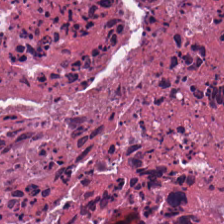Hematoxylin-and-eosin stained section. The predominant tissue is cellular debris.
